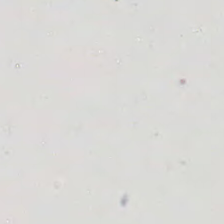0.5 microns per pixel; H&E. Background — no tissue in this field.
